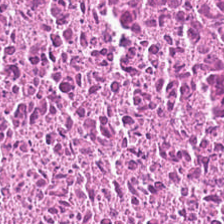Hematoxylin-and-eosin stained section. This patch shows cellular debris.
